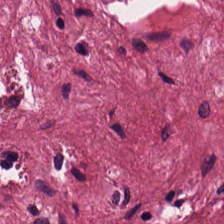The classification is cancer-associated stroma.
